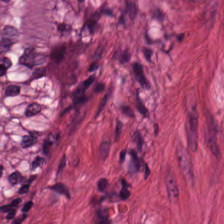Hematoxylin-and-eosin stained section. Predominant tissue = muscularis.
